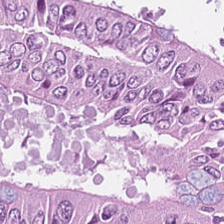H&E-stained tissue section — Tissue class = tumor epithelium.
